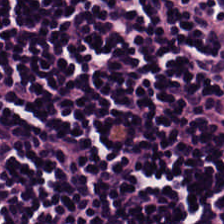Stain: H&E-stained tissue section.
Tissue type: lymphocyte aggregate.
